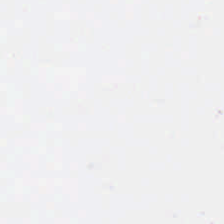Hematoxylin-and-eosin stained section — Background — no tissue in this field.
